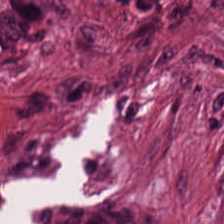H&E-stained tissue section — Classification = tumor-associated stroma.
